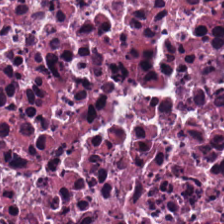Stain: H&E.
Predominant tissue: necrotic debris.
